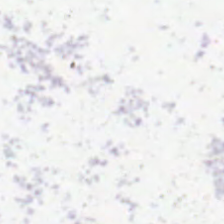224×224 px tile · hematoxylin-and-eosin stained section · formalin-fixed paraffin-embedded section — Classification = no tissue.
